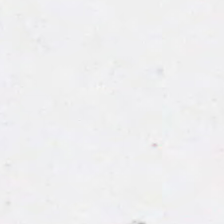Hematoxylin-and-eosin stained section.
This patch shows background (no tissue).
